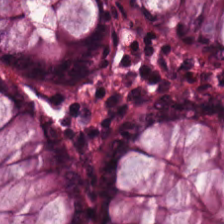Brightfield microscopy; H&E-stained tissue section. Q: Identify the tissue.
A: It is non-neoplastic colon mucosa.
